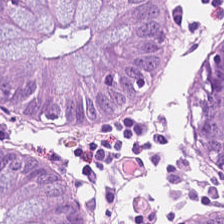H&E-stained tissue section. This field is non-neoplastic colon mucosa.
